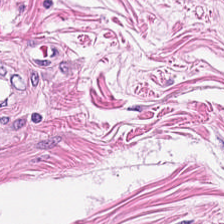H&E — Impression — smooth-muscle tissue.
